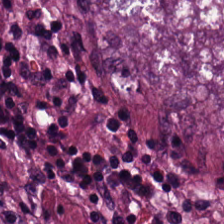H&E stain.
This field is adenocarcinoma.
